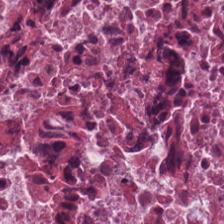The predominant tissue is necrotic debris.
